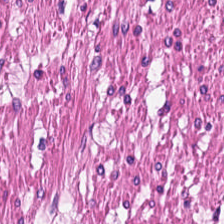Hematoxylin and eosin — The predominant tissue is muscularis.
